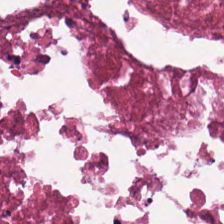Histology — cellular debris.
